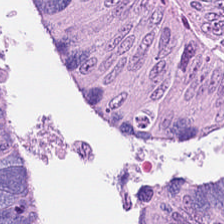Stain: H&E.
Tissue class: adenocarcinoma.
